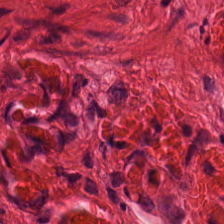224×224 px tile · H&E-stained tissue section · brightfield microscopy — Impression — smooth-muscle tissue.
